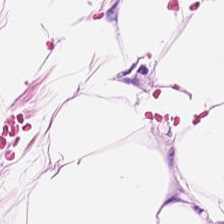H&E stain.
The classification is adipose tissue.
